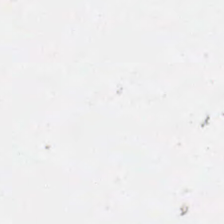FFPE tissue section · H&E stain.
No tissue present; background only.
